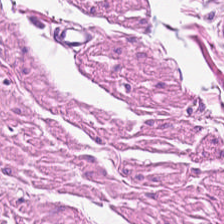20× equivalent magnification; hematoxylin-and-eosin stained section — Predominant tissue — muscularis.
